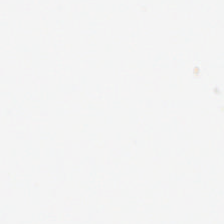Brightfield; H&E-stained tissue section — Q: Classify this patch.
A: This is background (no tissue).
